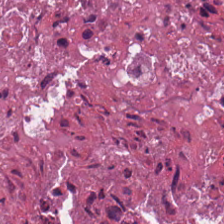Whole-slide-image patch; H&E stain; 0.5 microns per pixel.
The tissue class is debris.
